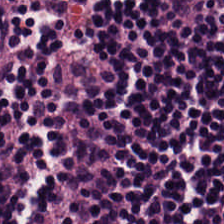224×224 px tile; hematoxylin and eosin.
This field is lymphocytes.
